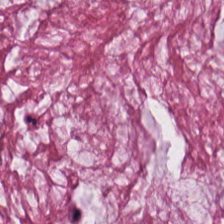Stain: hematoxylin-and-eosin stained section.
Tile size: 224×224 px tile.
Tissue class: extracellular mucin.
